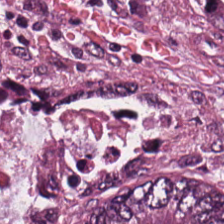Hematoxylin-and-eosin stained section.
This field is tumor epithelium.
